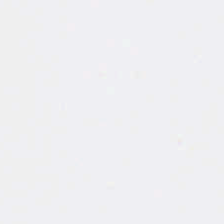Hematoxylin-and-eosin stained section. FFPE tissue section. Content = background (no tissue).
